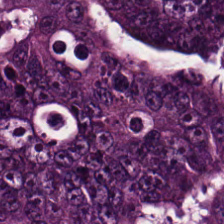H&E stain; 20× equivalent magnification — Finding → colorectal adenocarcinoma epithelium.
